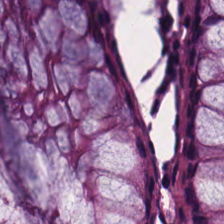WSI patch; hematoxylin and eosin.
Tissue class = benign colonic mucosa.
